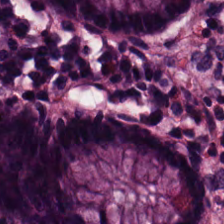Brightfield · H&E.
Q: What is shown in this field?
A: The field shows normal colon mucosa.
